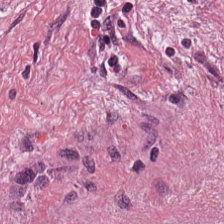H&E-stained tissue section. The predominant tissue is tumor stroma.
